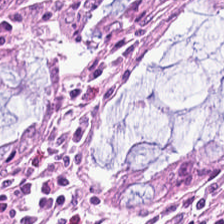Predominant tissue: benign colonic mucosa.
